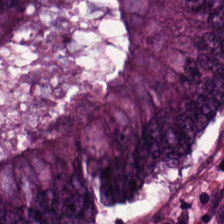H&E-stained tissue section · brightfield microscopy — Predominant tissue = colorectal adenocarcinoma.
